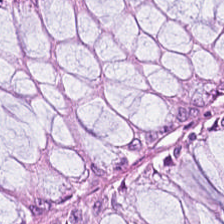Formalin-fixed paraffin-embedded section · hematoxylin-and-eosin stained section. This patch shows non-neoplastic colon mucosa.
